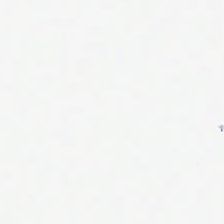H&E stain. Empty background.
